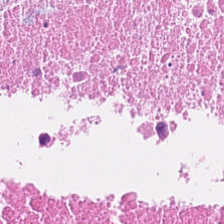Stain: hematoxylin and eosin.
Classification: debris.
